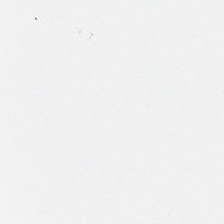20× equivalent magnification; H&E-stained tissue section; WSI patch. Impression → no tissue.
